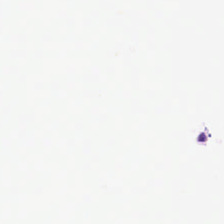No tissue.
